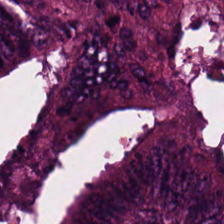H&E stain; 224×224 pixel tile — Tissue type = colorectal adenocarcinoma.
